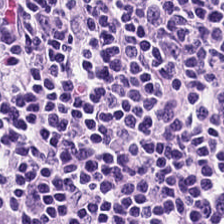H&E-stained tissue section.
The predominant tissue is lymphocyte aggregate.
